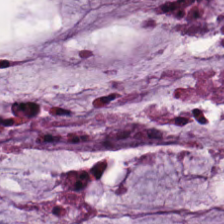224×224 pixel tile · hematoxylin and eosin · 0.5 µm/px. Q: What is shown in this field?
A: The field shows mucus.
